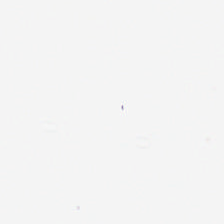Hematoxylin-and-eosin stained section.
No tissue present; background only.
